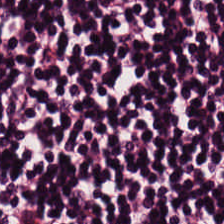0.5 µm per pixel; hematoxylin and eosin — Impression → lymphocytic infiltrate.
